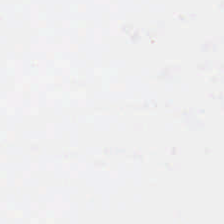Empty field — background (no tissue).
